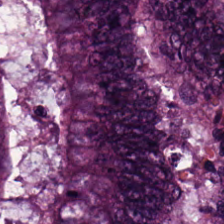H&E stain — Showing adenocarcinoma.
